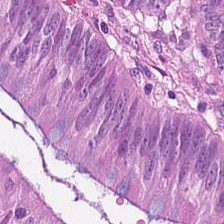Hematoxylin and eosin.
Tissue — malignant epithelium.
